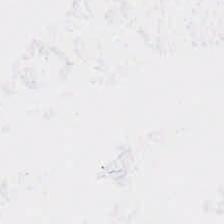Stain: H&E stain.
Content: background (no tissue).
